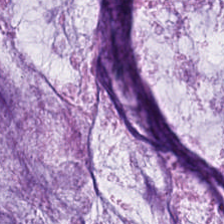0.5 µm/px; hematoxylin and eosin — The tissue here is mucin.
